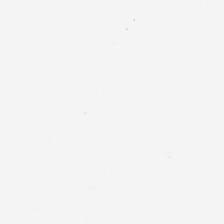This field is background (no tissue).
